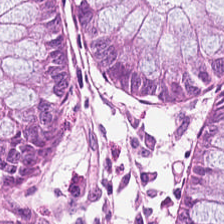Showing non-neoplastic colon mucosa.
